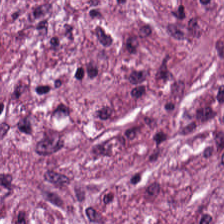H&E stain.
This patch shows tumor stroma.
